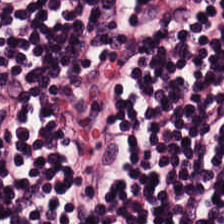Stain: H&E stain.
Preparation: FFPE.
Tissue class: lymphocytic infiltrate.
